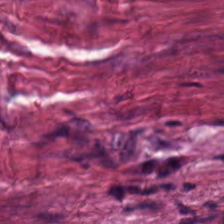Hematoxylin and eosin · 224×224 px tile · FFPE tissue section — Finding — desmoplastic stroma.
